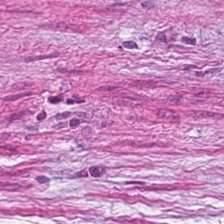Formalin-fixed paraffin-embedded section · 224×224 pixel tile · H&E stain. Predominant tissue = cancer-associated stroma.
